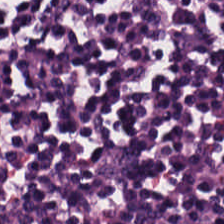Classification — lymphocyte aggregate.
